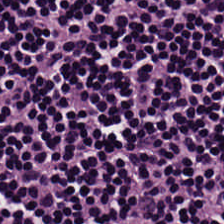Stain: H&E-stained tissue section.
Tissue: lymphocyte aggregate.
